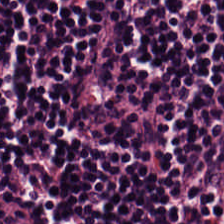Stain: hematoxylin and eosin.
Tissue class: lymphocytic infiltrate.
